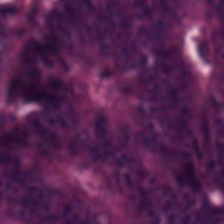H&E-stained tissue section.
The classification is tumor epithelium.
